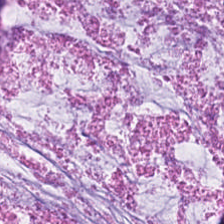H&E-stained section; the field shows mucus.
